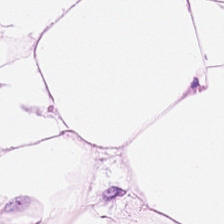Hematoxylin and eosin — The predominant tissue is adipocytes.
